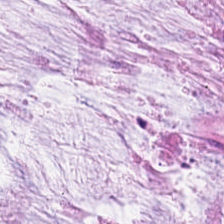Brightfield microscopy. Hematoxylin-and-eosin stained section — Q: Classify this patch.
A: This is mucin.
